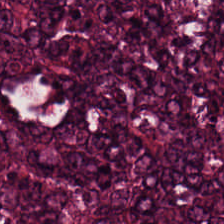224×224 pixel tile; H&E-stained tissue section. The predominant tissue is colorectal adenocarcinoma.
